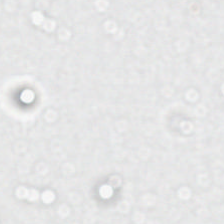Classification = no tissue.
